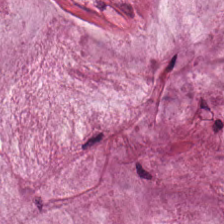Stain: hematoxylin and eosin.
Tissue class: mucus.
